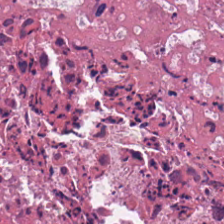Hematoxylin and eosin. Tissue class = cellular debris.
